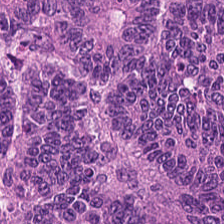H&E · 224×224 px tile · brightfield microscopy — Tissue = colorectal adenocarcinoma.
